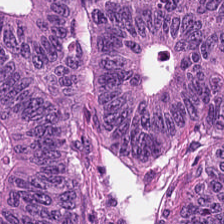Whole-slide-image patch; hematoxylin-and-eosin stained section — Histology — adenocarcinoma.
